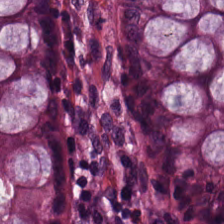H&E-stained tissue section — This field is non-neoplastic colon mucosa.
